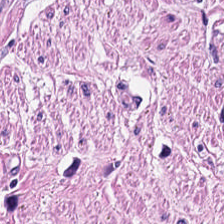Tissue type — smooth-muscle tissue.
